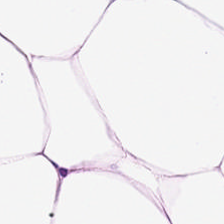The tissue type is adipocytes.
